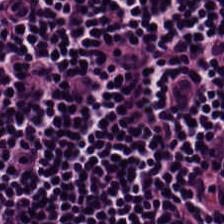WSI patch. H&E-stained tissue section. 0.5 µm/px.
This patch shows lymphocytic infiltrate.
